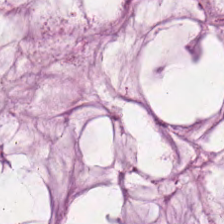Hematoxylin and eosin — This patch shows extracellular mucin.
